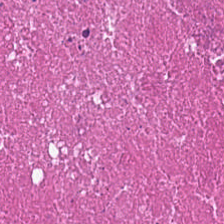This patch shows cellular debris.
